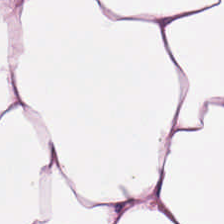Q: What type of tissue is this?
A: It is adipose.
